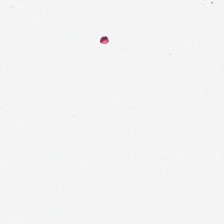This patch shows background.
